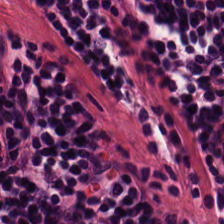Stain: H&E-stained tissue section.
Resolution: 0.5 µm per pixel.
Tissue class: lymphocytic infiltrate.
